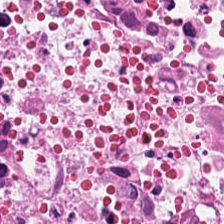20× equivalent magnification · hematoxylin-and-eosin stained section · brightfield.
Tissue = necrotic debris.
